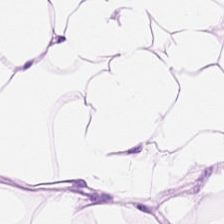H&E-stained tissue section.
Q: What is the predominant tissue type?
A: Adipose tissue.
